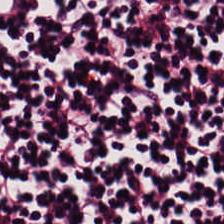H&E — This patch shows lymphocytes.
